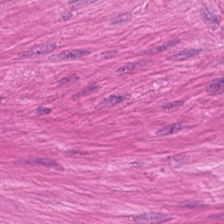Stain: hematoxylin-and-eosin stained section.
Tissue: smooth muscle.
